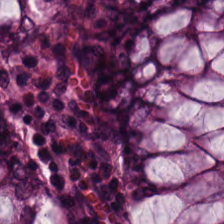0.5 microns per pixel. H&E stain. Q: What is the predominant tissue type?
A: Normal colonic mucosa.
